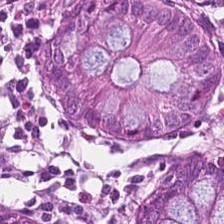Q: What type of tissue is this?
A: This is non-neoplastic colon mucosa.
